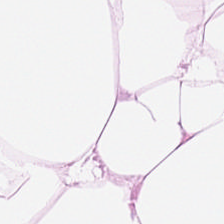H&E-stained tissue section. Classification = adipocytes.
